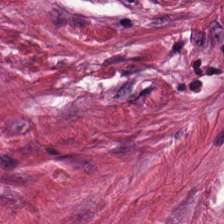H&E stain. Predominant tissue — tumor stroma.
